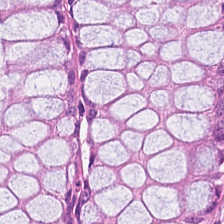H&E stain · WSI patch — Normal colonic mucosa.
